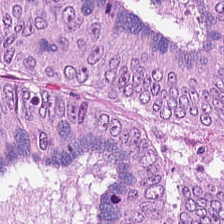H&E — Tissue type = colorectal adenocarcinoma.
